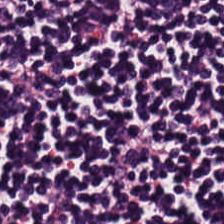Q: What is shown here?
A: This is lymphoid infiltrate.
